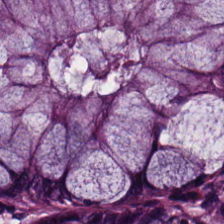Predominant tissue: normal colonic mucosa.
